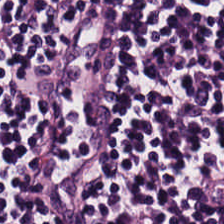H&E stain. 0.5 µm per pixel.
Lymphocytes.
